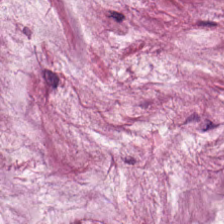Q: Classify this patch.
A: The field shows mucus.
